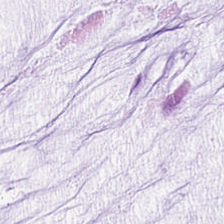Whole-slide-image patch. H&E stain. 0.5 µm per pixel. Q: Identify the tissue.
A: The field shows extracellular mucin.
